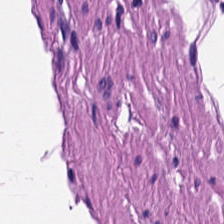Hematoxylin-and-eosin stained section.
Muscularis.
